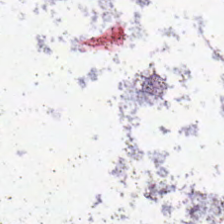H&E-stained tissue section — Field content = background (no tissue).
